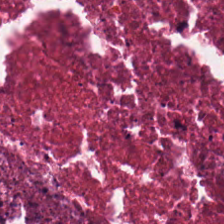Formalin-fixed paraffin-embedded section; 224×224 px patch; H&E.
Showing cellular debris.
